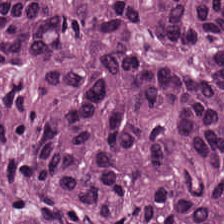FFPE tissue section. H&E stain. Predominant tissue = colorectal adenocarcinoma.
